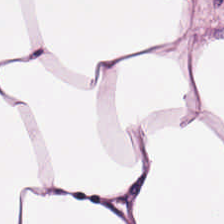Q: What type of tissue is this?
A: It is adipose tissue.
